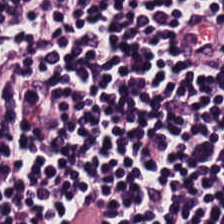H&E stain — Finding — lymphocytes.
